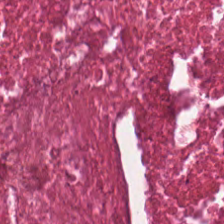Hematoxylin and eosin — Q: What is shown in this field?
A: The field shows debris.
